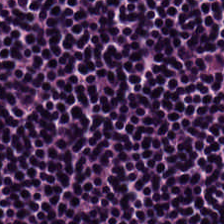Stain: H&E-stained tissue section.
Tissue: lymphocyte aggregate.
